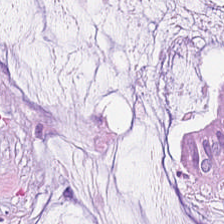Stain: hematoxylin and eosin.
Preparation: FFPE.
Predominant tissue: mucus.
